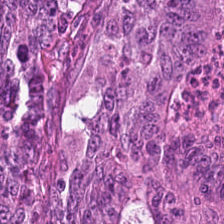Hematoxylin and eosin; FFPE tissue section; 224×224 px patch. Q: What tissue type is shown here?
A: This is tumor epithelium.
